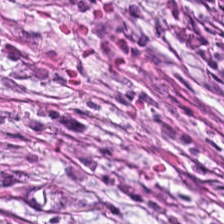H&E stain.
Finding → cancer-associated stroma.
